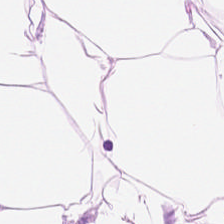H&E. Whole-slide-image patch. 20× equivalent magnification. Predominant tissue: adipocytes.
